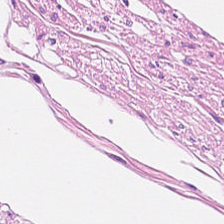H&E-stained tissue section — Q: What does this patch show?
A: This is smooth-muscle tissue.
